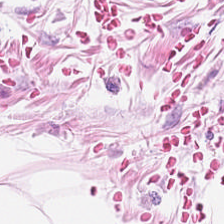H&E-stained tissue section. 224×224 pixel tile.
Histology — adipose.
